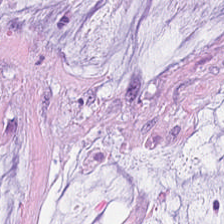Hematoxylin-and-eosin stained section — This patch shows extracellular mucin.
